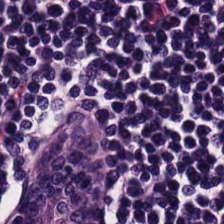Formalin-fixed paraffin-embedded section · hematoxylin-and-eosin stained section · 224×224 pixel tile — Classification — lymphocyte aggregate.
